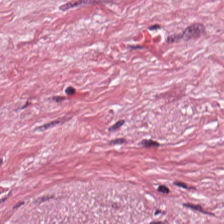FFPE; H&E stain.
{"tissue_type": "desmoplastic stroma"}
